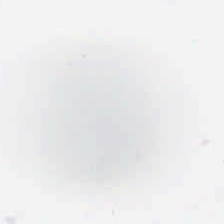H&E.
Histology — no tissue.
